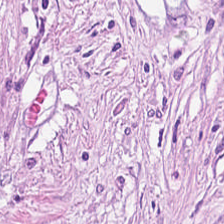FFPE. Hematoxylin and eosin. Showing desmoplastic stroma.
